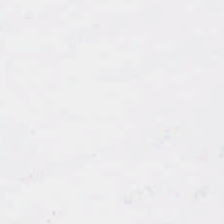Q: What does this patch show?
A: Background.
